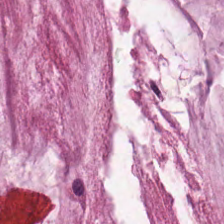H&E · 0.5 µm/px. Tissue class — mucus.
